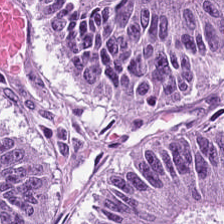FFPE tissue section. Hematoxylin and eosin. 224×224 px patch — Showing adenocarcinoma.
